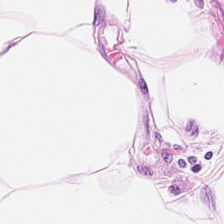H&E stain. FFPE — Predominant tissue: adipose.
